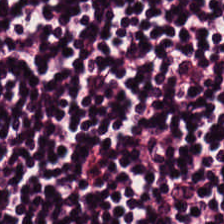224×224 px patch · FFPE · hematoxylin and eosin. This patch shows lymphocytes.
